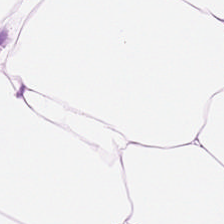H&E stain — Q: What type of tissue is this?
A: Fat tissue.
